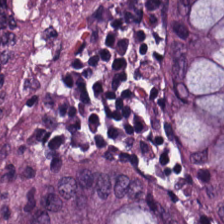0.5 µm per pixel · H&E-stained tissue section.
Normal colon mucosa.
